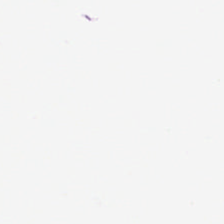H&E-stained tissue section; 224×224 px tile. {"content": "empty background"}
